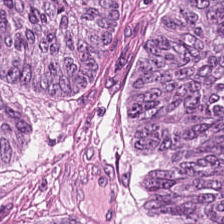Tissue type = colorectal adenocarcinoma.
